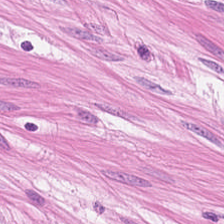H&E stain — This patch shows smooth-muscle tissue.
